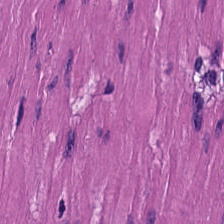Brightfield; hematoxylin and eosin; 224×224 px patch — Q: What tissue type is shown here?
A: This is muscularis.
